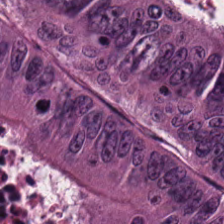Q: What does this patch show?
A: It is tumor epithelium.
